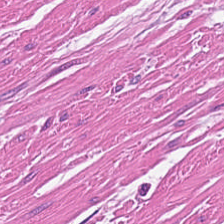Hematoxylin-and-eosin stained section. Showing smooth muscle.
